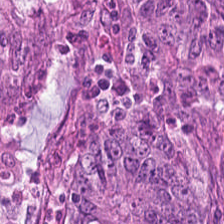H&E stain; whole-slide-image patch.
Adenocarcinoma.
